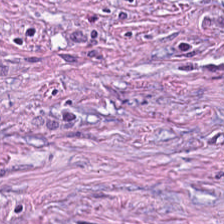Hematoxylin-and-eosin stained section.
Impression → tumor stroma.
